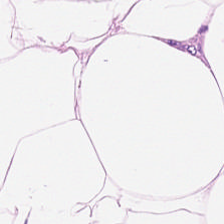Hematoxylin-and-eosin stained section.
Q: What is shown here?
A: It is fat tissue.
